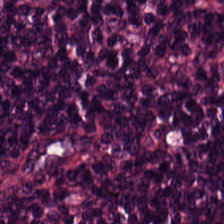224×224 pixel tile. Hematoxylin-and-eosin stained section. Classification — lymphocytes.
